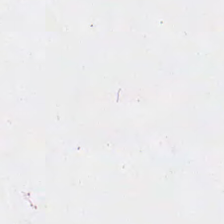Hematoxylin-and-eosin stained section. Background — no tissue in this field.
